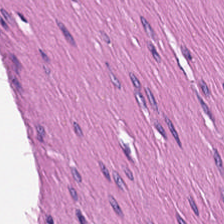Hematoxylin and eosin.
This field is smooth-muscle tissue.
